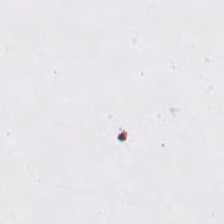WSI patch. H&E stain — {"content": "no tissue"}
